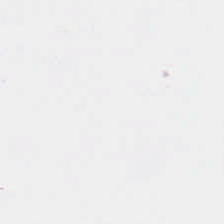0.5 microns per pixel; H&E-stained tissue section — Histology → no tissue.
